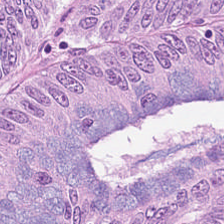H&E.
The predominant tissue is malignant epithelium.
